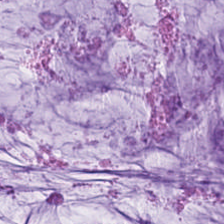Hematoxylin and eosin.
Tissue class — mucus.
